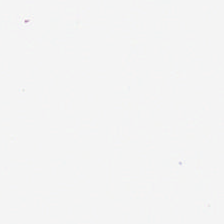Stain: hematoxylin and eosin.
Preparation: formalin-fixed paraffin-embedded section.
Field content: background (no tissue).
